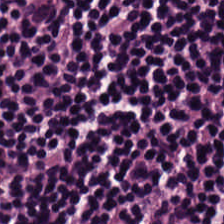H&E stain.
Q: What tissue type is shown here?
A: It is lymphocyte aggregate.
